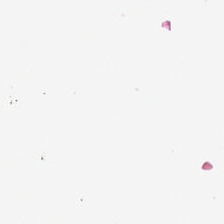Hematoxylin and eosin. Empty background.
